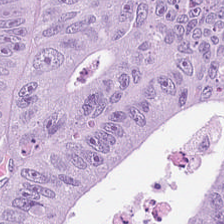224×224 px patch; 20× equivalent magnification; H&E stain. The predominant tissue is tumor epithelium.
